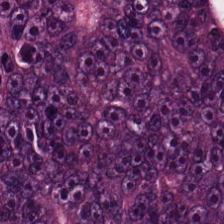Hematoxylin and eosin. Tissue — malignant epithelium.
